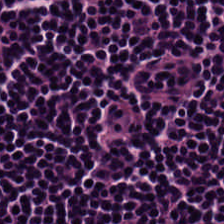224×224 px tile · brightfield · hematoxylin-and-eosin stained section — Q: What is shown in this field?
A: Lymphocyte aggregate.
